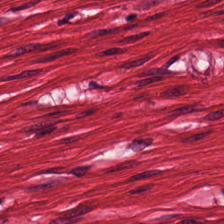Hematoxylin and eosin — Q: What is shown here?
A: Muscularis.
